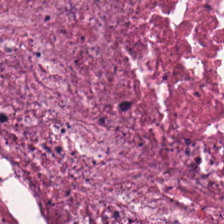This field is debris.
